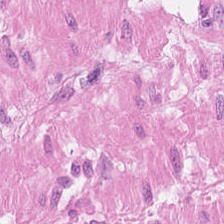H&E; 20× equivalent magnification. Q: What is shown here?
A: It is smooth-muscle tissue.
